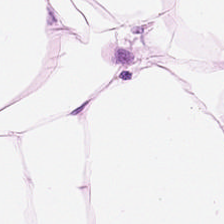FFPE tissue section; hematoxylin-and-eosin stained section; 224×224 px patch — Tissue type = adipose.
